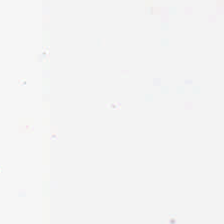Hematoxylin and eosin — Background.
